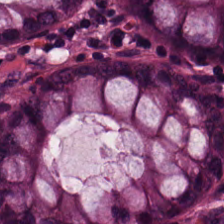WSI patch. H&E-stained tissue section — Benign colonic mucosa.
